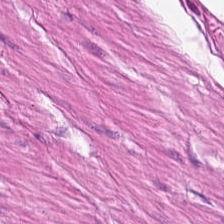Formalin-fixed paraffin-embedded section · 224×224 px patch · H&E.
Predominantly smooth-muscle tissue.
